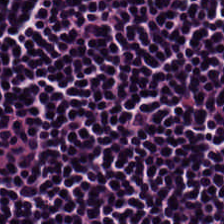H&E-stained tissue section.
Predominant tissue: lymphocytes.
